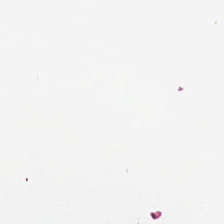Hematoxylin and eosin · 224×224 px tile. Classification — background.
